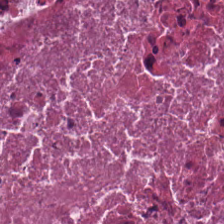Hematoxylin-and-eosin stained section. Tissue type = necrotic debris.
